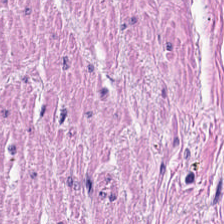{"tissue_type": "smooth-muscle tissue"}
